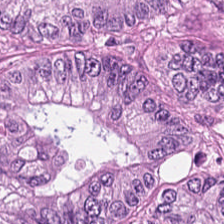H&E-stained tissue section. {"tissue_type": "tumor epithelium"}
